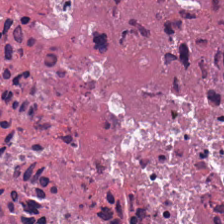H&E — debris.
